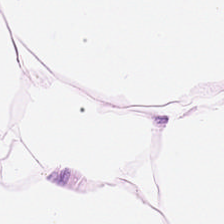Tissue = adipose.
